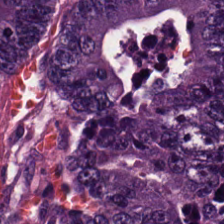H&E — This patch shows tumor epithelium.
